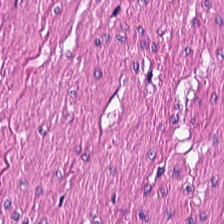Q: What is shown in this field?
A: The field shows smooth-muscle tissue.
